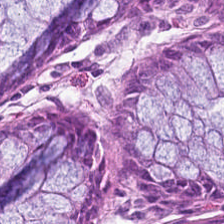H&E stain.
The classification is normal colon mucosa.
